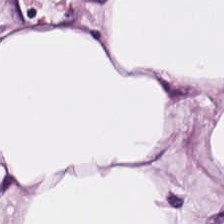Hematoxylin-and-eosin stained section.
Tissue class — adipocytes.
